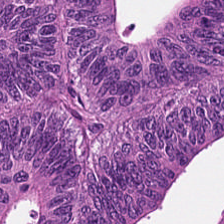Impression — colorectal adenocarcinoma epithelium.
